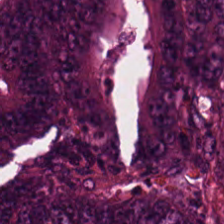20× equivalent magnification · hematoxylin and eosin. Tissue class — malignant epithelium.
